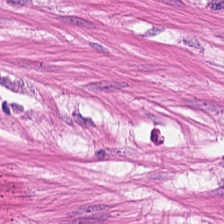H&E-stained tissue section.
Predominantly smooth muscle.
